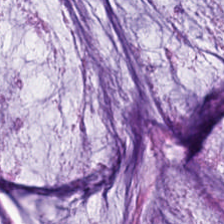Stain: H&E.
Classification: extracellular mucin.
